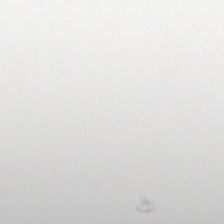H&E-stained tissue section · 224×224 pixel tile · WSI patch.
No tissue.
